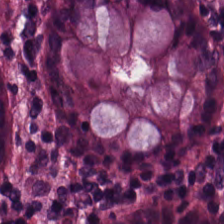Histology — normal colon mucosa.
